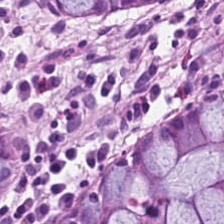H&E. This patch shows non-neoplastic colon mucosa.
